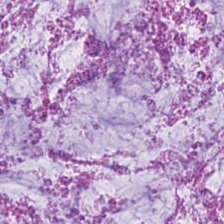Stain: hematoxylin and eosin.
Preparation: FFPE.
Tile size: 224×224 pixel tile.
Predominant tissue: mucin.
